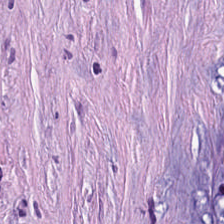{"tissue_type": "tumor-associated stroma"}
